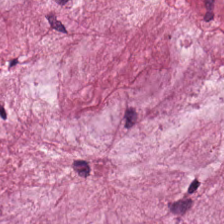0.5 microns per pixel. FFPE tissue section. Hematoxylin-and-eosin stained section. Tissue type — mucus.
